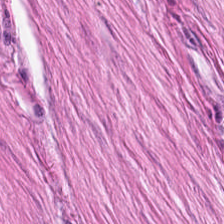Hematoxylin-and-eosin stained section — This patch shows smooth-muscle tissue.
